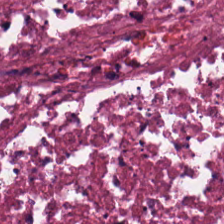FFPE · H&E-stained tissue section.
Q: What is shown here?
A: The field shows cellular debris.
